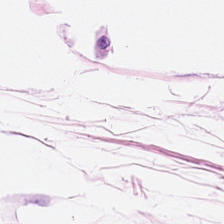FFPE tissue section · whole-slide-image patch · H&E-stained tissue section — Predominantly adipocytes.
